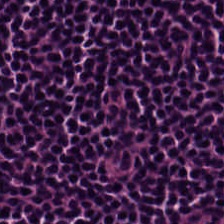H&E.
Showing lymphocyte aggregate.
